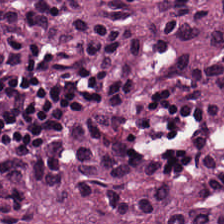H&E.
Predominantly tumor epithelium.
